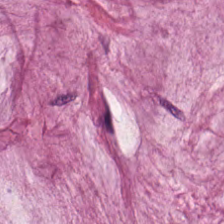Hematoxylin-and-eosin stained section. Whole-slide-image patch. FFPE tissue section — Predominant tissue: mucin.
